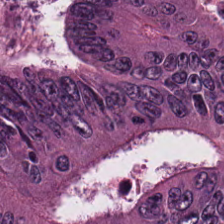0.5 microns per pixel. Hematoxylin-and-eosin stained section — The classification is tumor epithelium.
